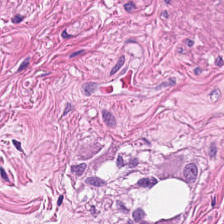Tissue class: smooth-muscle tissue.
